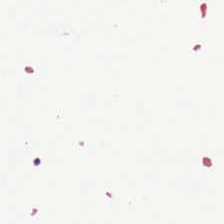Brightfield. H&E-stained tissue section. FFPE — Q: What is shown here?
A: This is background.
